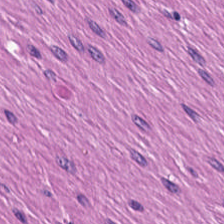Brightfield; hematoxylin-and-eosin stained section.
Q: What is shown in this field?
A: It is muscularis.
